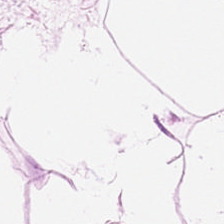Hematoxylin-and-eosin section: adipose tissue.
